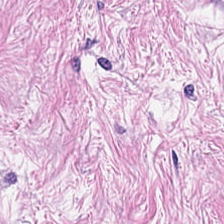0.5 microns per pixel; H&E stain.
Tumor stroma.
